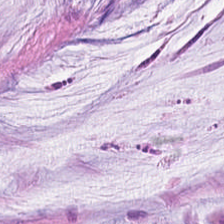Whole-slide-image patch; H&E stain. Predominantly mucus.
